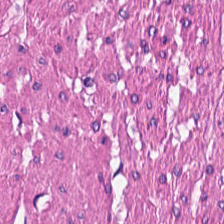224×224 px tile; H&E; FFPE tissue section. This patch shows smooth-muscle tissue.
